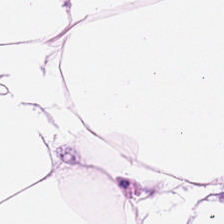H&E — adipocytes.
